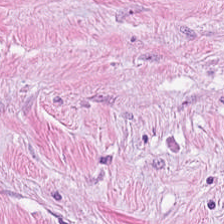H&E stain.
The tissue class is desmoplastic stroma.
